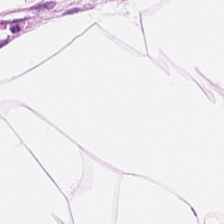H&E stain. Tissue class: fat tissue.
